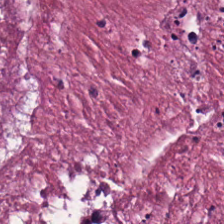H&E stain. The tissue here is necrotic debris.
